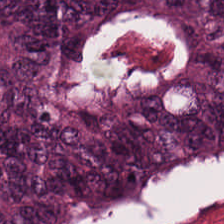0.5 µm/px; H&E. Colorectal adenocarcinoma epithelium.
